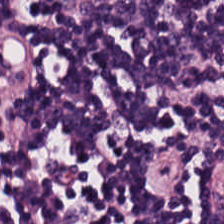FFPE tissue section; hematoxylin and eosin; brightfield microscopy.
Q: Identify the tissue.
A: The field shows lymphocytes.
